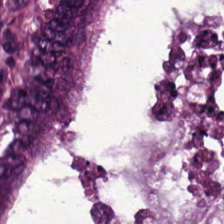This field is malignant epithelium.
